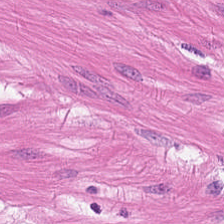Hematoxylin and eosin; whole-slide-image patch.
Muscularis.
